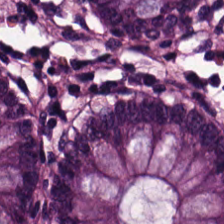Hematoxylin and eosin · FFPE tissue section. {"tissue_type": "normal colon mucosa"}
